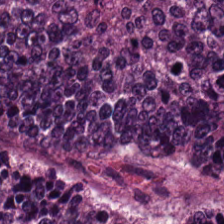Hematoxylin-and-eosin stained section. Formalin-fixed paraffin-embedded section.
Tissue — adenocarcinoma.
